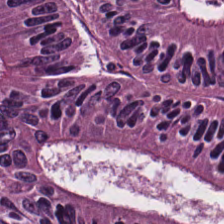{"tissue_type": "tumor epithelium"}
